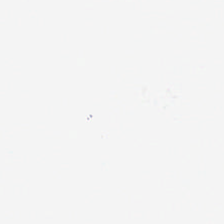H&E — Q: What is shown in this field?
A: The field shows empty background.
